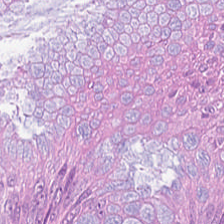Hematoxylin and eosin — The tissue class is tumor epithelium.
